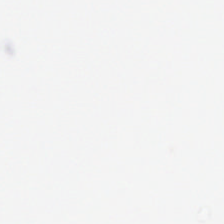Stain: H&E-stained tissue section.
Field content: empty background.
